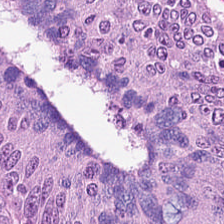Hematoxylin and eosin — The predominant tissue is tumor epithelium.
